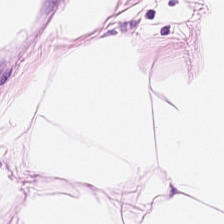Brightfield · hematoxylin-and-eosin stained section. The predominant tissue is adipose.
